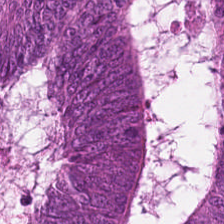224×224 pixel tile · H&E stain — The tissue class is malignant epithelium.
